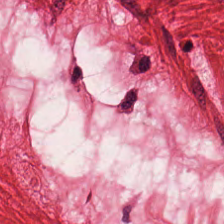FFPE · hematoxylin and eosin · whole-slide-image patch — Predominantly muscularis.
